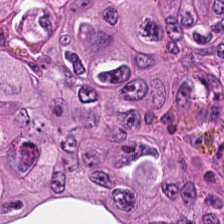Hematoxylin and eosin. WSI patch. Q: What tissue is shown?
A: This is colorectal adenocarcinoma epithelium.
